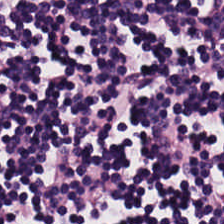0.5 microns per pixel; H&E. Q: What tissue type is shown here?
A: It is lymphocytic infiltrate.
